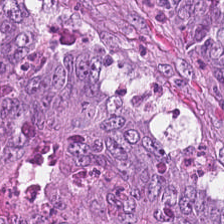0.5 µm/px. 224×224 px tile. Hematoxylin and eosin. Colorectal adenocarcinoma.
